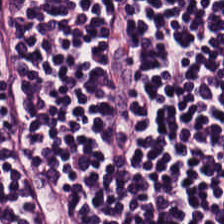Hematoxylin-and-eosin stained section.
Lymphocyte aggregate.
